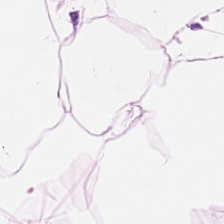0.5 microns per pixel. H&E-stained tissue section.
Adipocytes.
